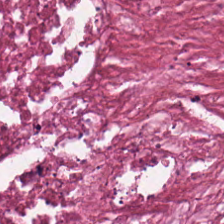H&E stain.
Necrotic debris.
